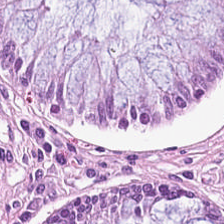Stain: H&E stain.
Acquisition: WSI patch.
Preparation: FFPE.
Tissue class: normal colonic mucosa.
